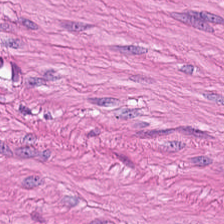FFPE; H&E — Muscularis.
